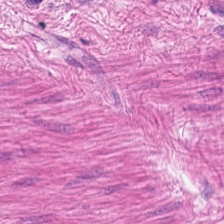H&E-stained tissue section.
This patch shows muscularis.
